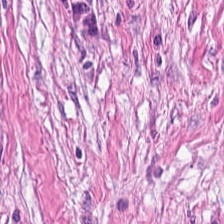H&E stain.
The tissue type is cancer-associated stroma.
